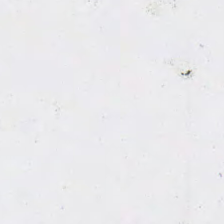The classification is background (no tissue).
